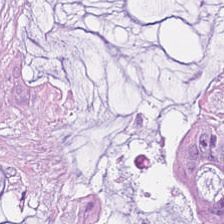Stain: H&E.
Tissue: mucin.
